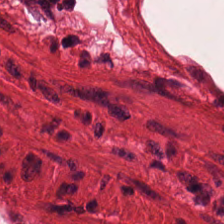Smooth muscle.
